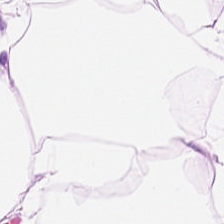H&E-stained tissue section. The predominant tissue is fat tissue.
